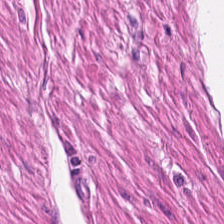Impression — muscularis.
